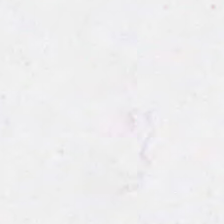H&E.
The classification is background.
